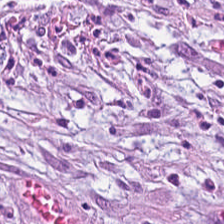Formalin-fixed paraffin-embedded section. H&E. 0.5 microns per pixel. Tissue = tumor-associated stroma.
